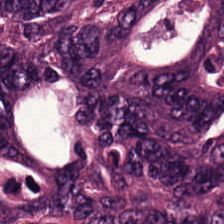H&E-stained tissue section · brightfield. Predominantly tumor epithelium.
